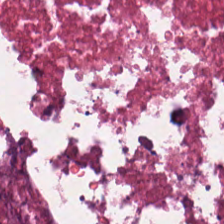224×224 px tile · hematoxylin and eosin · brightfield microscopy. Finding — debris.
